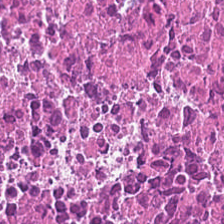Hematoxylin-and-eosin stained section — Q: What is shown here?
A: Cellular debris.
